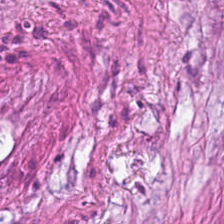Predominantly desmoplastic stroma.
